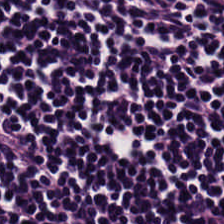H&E-stained tissue section; 224×224 px tile. Lymphocytic infiltrate.
